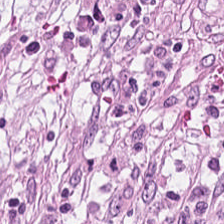H&E. Predominantly cancer-associated stroma.
